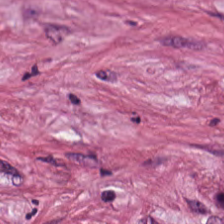Q: What does this patch show?
A: It is tumor stroma.
